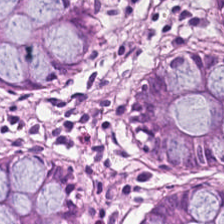Hematoxylin and eosin — Tissue: non-neoplastic colon mucosa.
